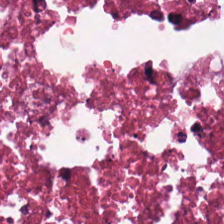Stain: H&E.
Tissue: debris.
